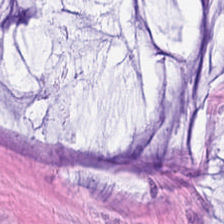Tissue class = mucus.
